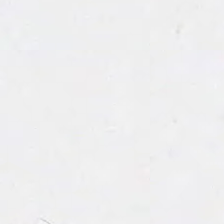Field content: empty background.
